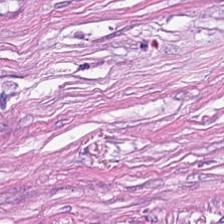Stain: hematoxylin and eosin.
Tissue: cancer-associated stroma.
